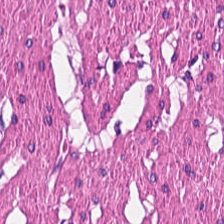224×224 px patch. H&E stain. FFPE tissue section.
The tissue type is muscularis.
